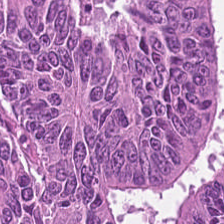Hematoxylin-and-eosin stained section.
Q: What is shown in this field?
A: Colorectal adenocarcinoma.
